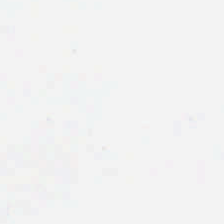H&E-stained tissue section.
The field content is no tissue.
